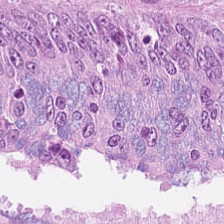Stain: H&E-stained tissue section.
Classification: adenocarcinoma.
